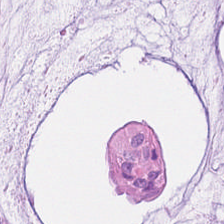Impression — mucin.
